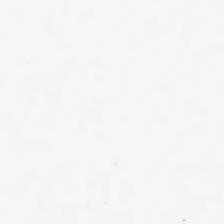No tissue present; background only.
